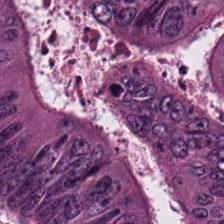224×224 pixel tile; hematoxylin-and-eosin stained section — The tissue class is colorectal adenocarcinoma epithelium.
